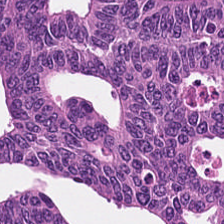H&E · 224×224 px patch — Tissue type = colorectal adenocarcinoma.
